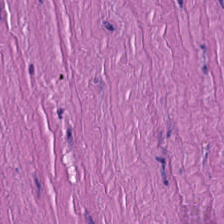FFPE · H&E stain.
Q: Identify the tissue.
A: Smooth-muscle tissue.
